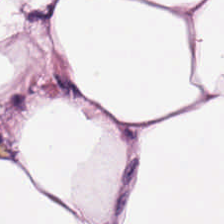Hematoxylin-and-eosin stained section.
Tissue: adipocytes.
